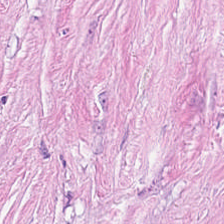Hematoxylin-and-eosin stained section — Cancer-associated stroma.
